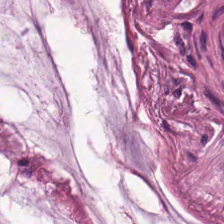224×224 pixel tile; hematoxylin and eosin.
Q: What is shown in this field?
A: This is mucus.
